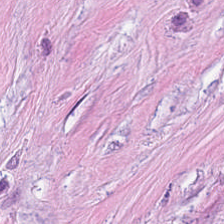H&E stain — Q: What is shown in this field?
A: This is tumor-associated stroma.
